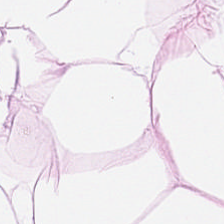H&E-stained section; the field shows adipose tissue.
